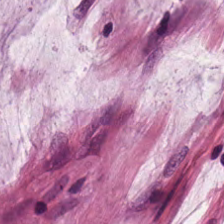Hematoxylin and eosin.
Predominantly mucus.
